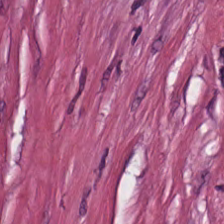H&E — tumor stroma.
